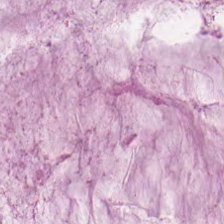H&E stain. 224×224 px patch. FFPE — Impression → mucin.
